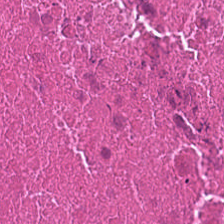Impression → necrotic debris.
